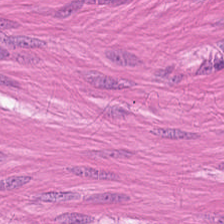H&E stain. Formalin-fixed paraffin-embedded section — This field is muscularis.
